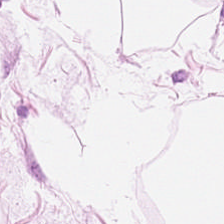Hematoxylin-and-eosin stained section · WSI patch. The tissue here is adipose.
